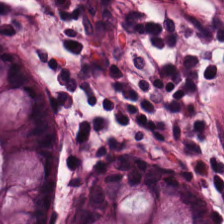Classification: normal colonic mucosa.
